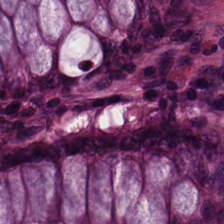Stain: H&E.
Resolution: 0.5 microns per pixel.
Classification: non-neoplastic colon mucosa.
